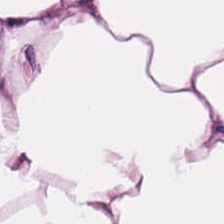Predominant tissue: adipocytes.
